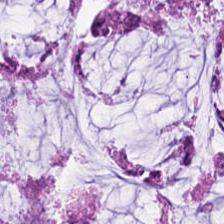Q: What tissue type is shown here?
A: Mucus.
